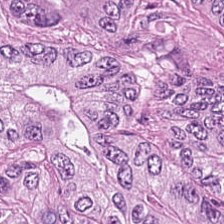Hematoxylin-and-eosin stained section.
The tissue here is colorectal adenocarcinoma.
